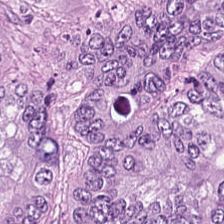Stain: H&E.
Tissue class: adenocarcinoma.
